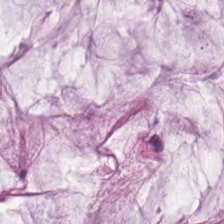Hematoxylin and eosin; whole-slide-image patch — Predominant tissue — extracellular mucin.
